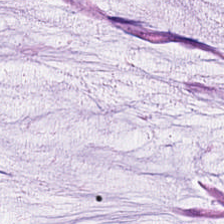Hematoxylin and eosin · whole-slide-image patch — Q: Classify this patch.
A: The field shows mucus.
